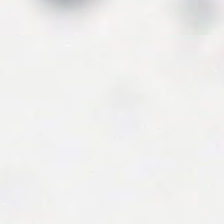No tissue.
